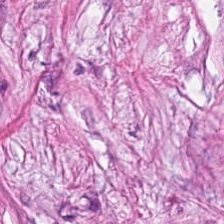Stain: hematoxylin and eosin.
Acquisition: brightfield.
Tissue class: tumor stroma.
